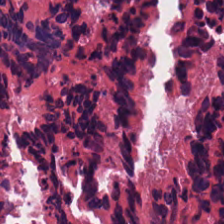H&E — Classification = debris.
